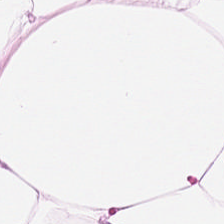Hematoxylin and eosin.
This patch shows adipose tissue.
